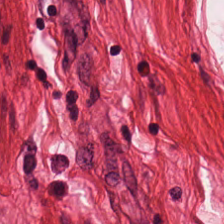Histology — smooth muscle.
